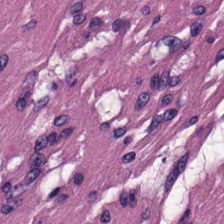Brightfield. H&E stain. 20× equivalent magnification — Tissue type — muscularis.
